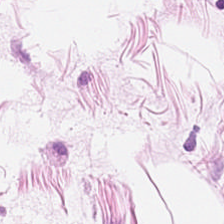Hematoxylin-and-eosin stained section. Brightfield microscopy. This field is adipose tissue.
